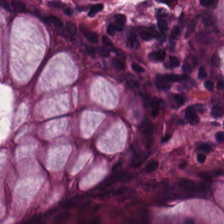H&E — The classification is normal colonic mucosa.
